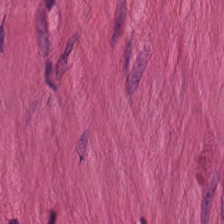FFPE; H&E — Impression → smooth-muscle tissue.
